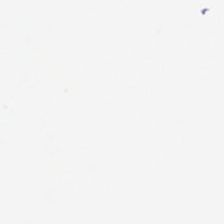Q: What does this patch show?
A: The field shows empty background.
